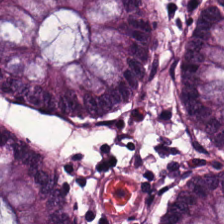Classification — non-neoplastic colon mucosa.
